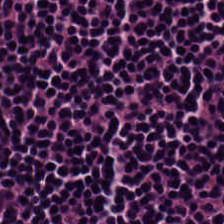FFPE tissue section · H&E · 0.5 microns per pixel — Q: What is shown in this field?
A: It is lymphocyte aggregate.
